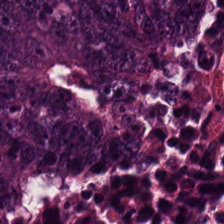H&E-stained tissue section — The tissue here is colorectal adenocarcinoma epithelium.
